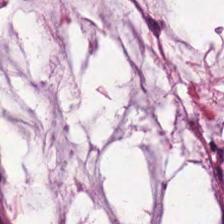H&E stain. {"tissue_type": "extracellular mucin"}
